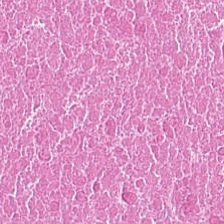Stain: H&E-stained tissue section.
Tissue type: necrotic debris.
